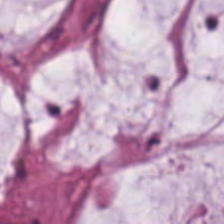Finding — mucin.
